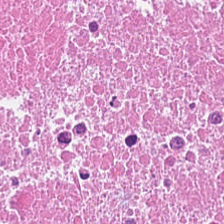Stain: H&E.
Tile size: 224×224 px tile.
Classification: cellular debris.
